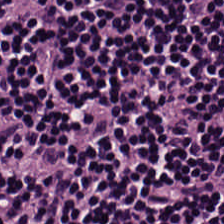Hematoxylin and eosin. Impression → lymphocytic infiltrate.
